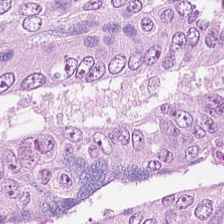Hematoxylin-and-eosin stained section. 224×224 px patch — The predominant tissue is tumor epithelium.
